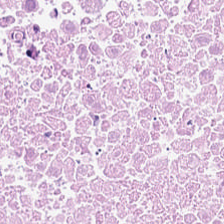The predominant tissue is debris.
